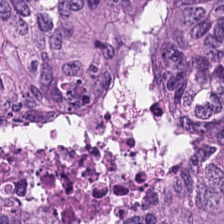Hematoxylin-and-eosin stained section.
This field is colorectal adenocarcinoma.
